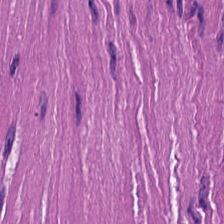Impression — smooth muscle.
